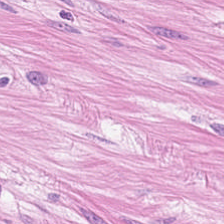Impression — muscularis.
